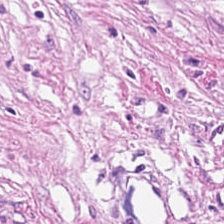FFPE. H&E. 0.5 microns per pixel. {"tissue_type": "tumor stroma"}
